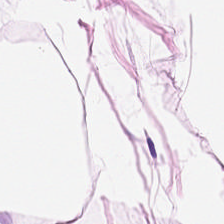H&E · 0.5 µm per pixel.
Showing adipose tissue.
